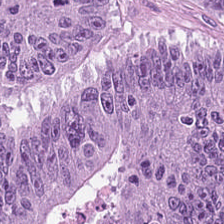H&E-stained tissue section showing adenocarcinoma.
